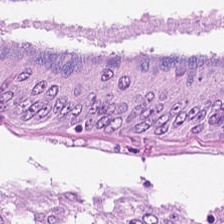Stain: H&E-stained tissue section.
Resolution: 0.5 µm per pixel.
Predominant tissue: colorectal adenocarcinoma.
